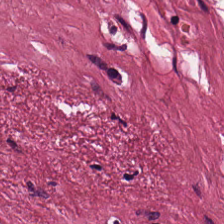FFPE tissue section; H&E stain.
{"tissue_type": "tumor stroma"}
